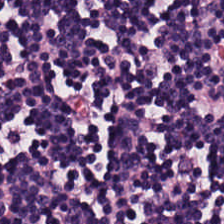Finding → lymphocytic infiltrate.
